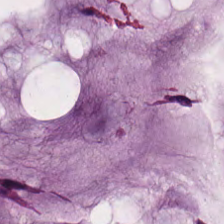Hematoxylin-and-eosin stained section. 20× equivalent magnification.
Q: Classify this patch.
A: Extracellular mucin.
